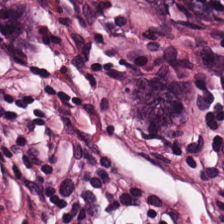Q: What tissue type is shown here?
A: Normal colonic mucosa.
